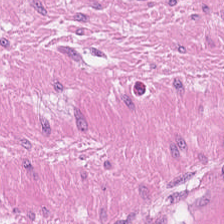Stain: hematoxylin and eosin.
Tissue class: smooth muscle.
